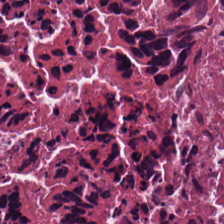Hematoxylin and eosin; 20× equivalent magnification.
Q: What is shown here?
A: It is necrotic debris.
